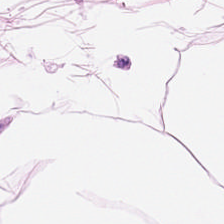WSI patch. Hematoxylin-and-eosin stained section. 20× equivalent magnification — Showing adipose tissue.
